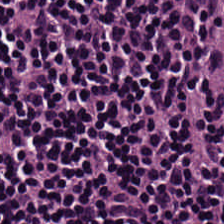The predominant tissue is lymphocytic infiltrate.
